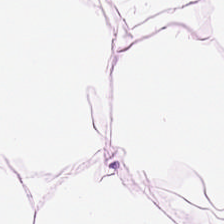Hematoxylin and eosin.
Predominant tissue — fat tissue.
